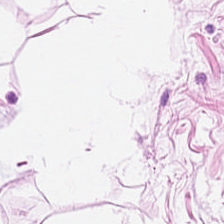224×224 px tile · hematoxylin-and-eosin stained section — Predominant tissue — fat tissue.
